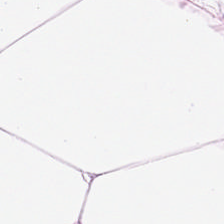Impression → fat tissue.
